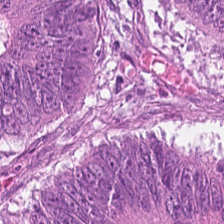224×224 px tile; H&E; FFPE — Tissue type: malignant epithelium.
